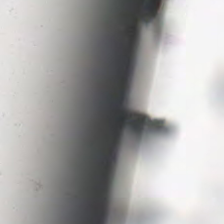Hematoxylin and eosin — Q: What does this patch show?
A: This is background.
